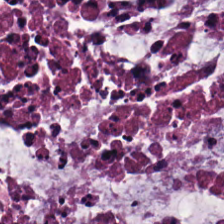FFPE tissue section · hematoxylin-and-eosin stained section. Q: What is shown in this field?
A: Mucus.
